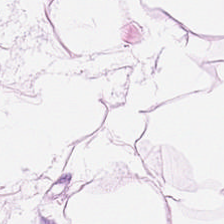H&E-stained tissue section — Showing adipose tissue.
